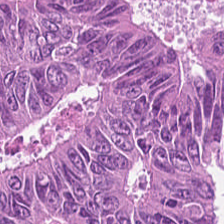Brightfield. H&E stain — Impression — tumor epithelium.
